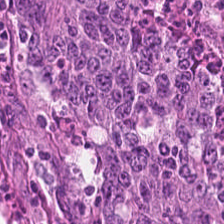The tissue class is malignant epithelium.
